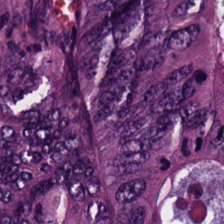H&E-stained tissue section.
The predominant tissue is colorectal adenocarcinoma epithelium.
